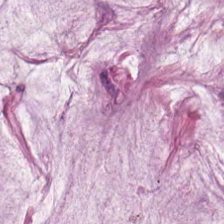{"tissue_type": "mucus"}
